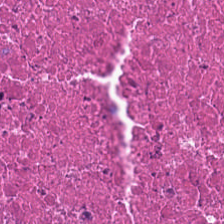H&E stain. Predominantly necrotic debris.
